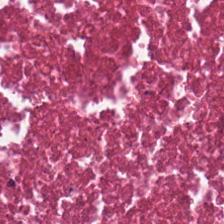Stain: H&E.
Predominant tissue: cellular debris.
